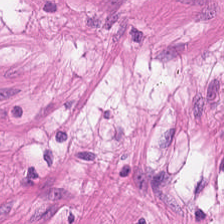Smooth muscle.
